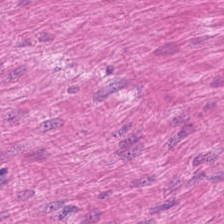H&E; 224×224 px patch — The predominant tissue is smooth muscle.
